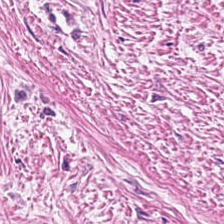H&E. Predominantly cancer-associated stroma.
